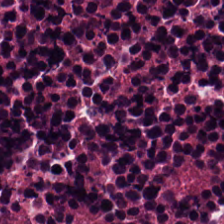H&E stain — Tissue: cellular debris.
